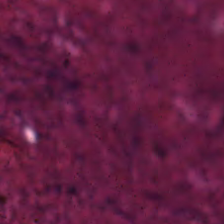Classification = necrotic debris.
